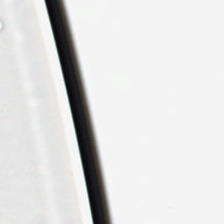H&E; 20× equivalent magnification.
The field content is background (no tissue).
